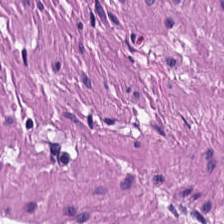Hematoxylin-and-eosin stained section.
Predominantly smooth muscle.
